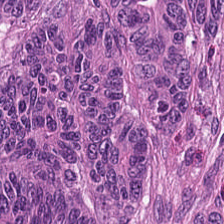Hematoxylin and eosin.
Predominantly tumor epithelium.
